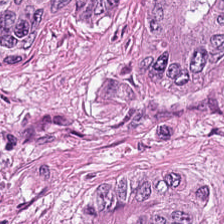Q: Identify the tissue.
A: Malignant epithelium.
